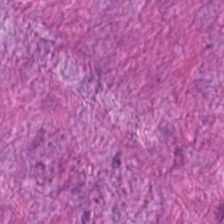Finding → tumor stroma.
